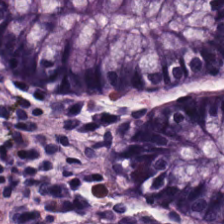WSI patch · H&E-stained tissue section — Q: What tissue is shown?
A: This is non-neoplastic colon mucosa.
